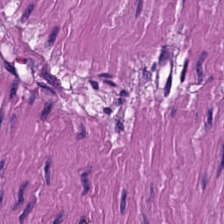Hematoxylin-and-eosin stained section — Showing smooth-muscle tissue.
